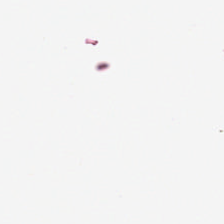H&E — Q: What does this patch show?
A: No tissue.
